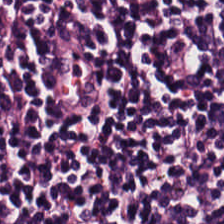Predominant tissue — lymphocytes.
